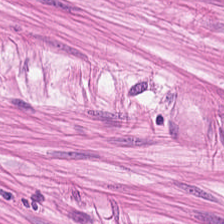H&E. Q: What tissue is shown?
A: Smooth-muscle tissue.
